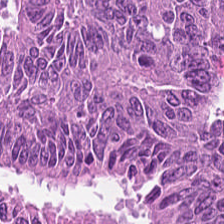Stain: hematoxylin and eosin.
Classification: colorectal adenocarcinoma.
